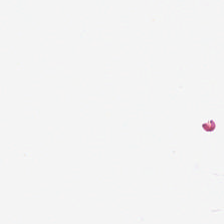H&E · FFPE · 20× equivalent magnification.
Empty field — no tissue.
